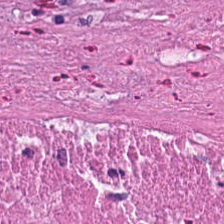H&E stain; brightfield. Histology — necrotic debris.
